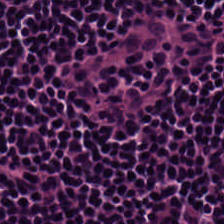Hematoxylin-and-eosin stained section.
Q: Classify this patch.
A: This is lymphocyte aggregate.
